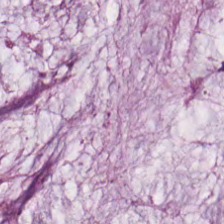H&E · 224×224 pixel tile · FFPE tissue section — Histology — mucin.
